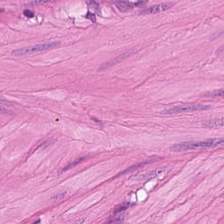Formalin-fixed paraffin-embedded section. Hematoxylin and eosin.
Predominant tissue = smooth muscle.
